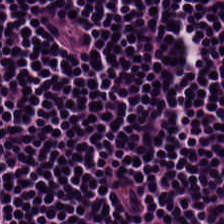Predominant tissue = lymphocyte aggregate.
